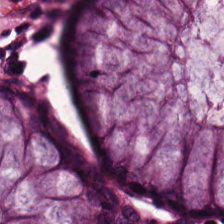Hematoxylin-and-eosin stained section. Whole-slide-image patch. {"tissue_type": "non-neoplastic colon mucosa"}
